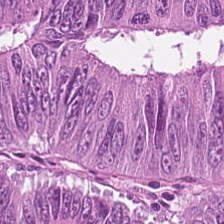Hematoxylin-and-eosin stained section.
Adenocarcinoma.
